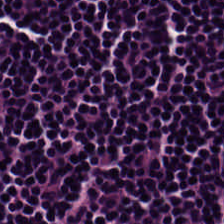H&E stain — Finding → lymphocytic infiltrate.
